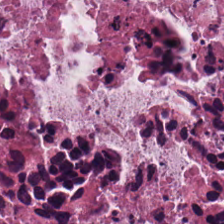Formalin-fixed paraffin-embedded section; hematoxylin and eosin.
{"tissue_type": "necrotic debris"}
